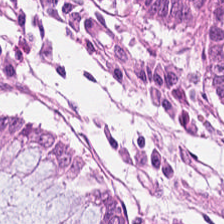H&E stain.
Classification = normal colon mucosa.
